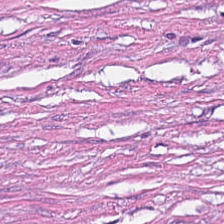H&E stain. Q: What is the predominant tissue type?
A: Tumor stroma.
